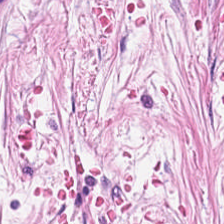Hematoxylin-and-eosin stained section; brightfield.
This field is desmoplastic stroma.
